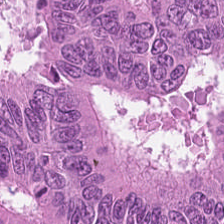Stain: H&E-stained tissue section.
Tissue class: colorectal adenocarcinoma.
